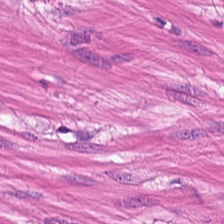Stain: H&E stain.
Classification: muscularis.
